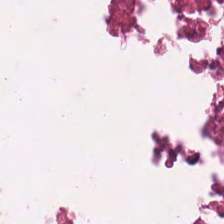This patch shows debris.
